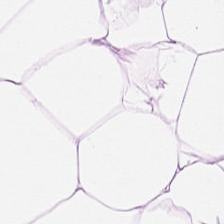Brightfield microscopy; H&E stain — Tissue: adipose tissue.
